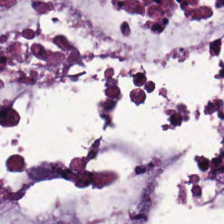The predominant tissue is extracellular mucin.
